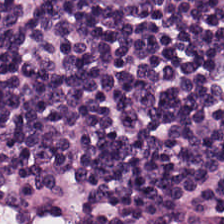Hematoxylin-and-eosin stained section; FFPE; 0.5 µm/px — Q: What tissue type is shown here?
A: It is lymphocytic infiltrate.
